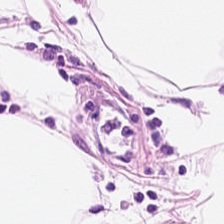Hematoxylin and eosin.
Q: What is the predominant tissue type?
A: It is adipose.
